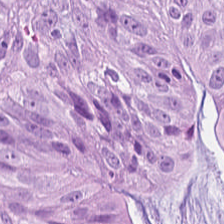H&E stain — Q: What is shown here?
A: This is malignant epithelium.
